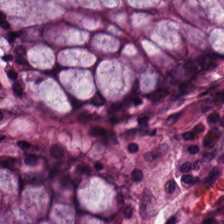H&E.
Q: What is the predominant tissue type?
A: Normal colon mucosa.
